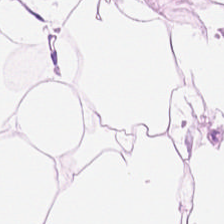H&E stain; WSI patch; 224×224 px tile — Fat tissue.
